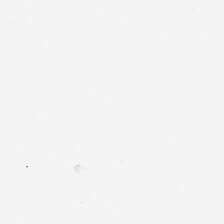H&E-stained tissue section. FFPE — Classification — background (no tissue).
